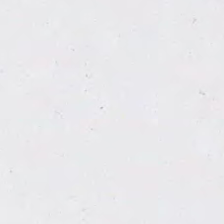Hematoxylin and eosin.
Q: What is shown here?
A: This is background.
